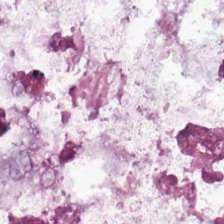H&E stain.
Mucus.
